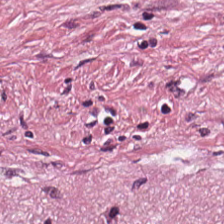Hematoxylin and eosin; 20× equivalent magnification — Impression → desmoplastic stroma.
